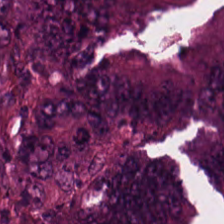Stain: hematoxylin-and-eosin stained section.
Predominant tissue: malignant epithelium.
